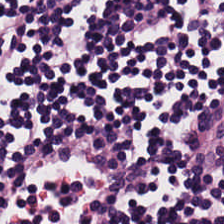Hematoxylin and eosin. Tissue type — lymphocyte aggregate.
